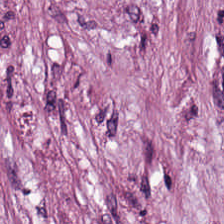Brightfield microscopy. H&E-stained tissue section — Tumor-associated stroma.
